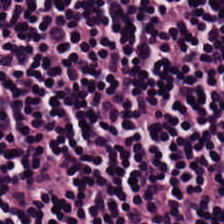H&E-stained tissue section — The predominant tissue is lymphocyte aggregate.
